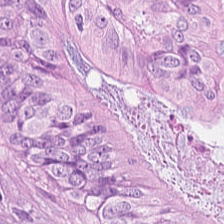0.5 microns per pixel · 224×224 px tile · hematoxylin-and-eosin stained section. The classification is adenocarcinoma.
